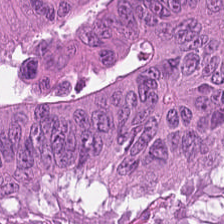0.5 microns per pixel; hematoxylin and eosin. Classification = malignant epithelium.
